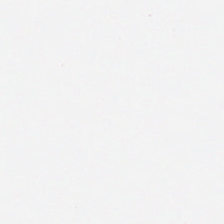H&E-stained tissue section.
Field content = empty background.
